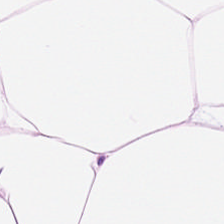Hematoxylin-and-eosin stained section; WSI patch.
Q: Identify the tissue.
A: Adipose.
